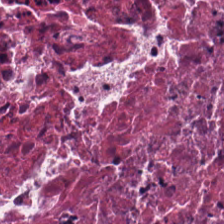Hematoxylin-and-eosin stained section.
Q: What type of tissue is this?
A: The field shows debris.
